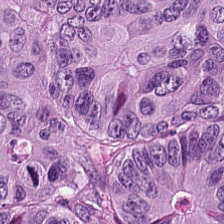20× equivalent magnification. Hematoxylin-and-eosin stained section. Finding → colorectal adenocarcinoma.
